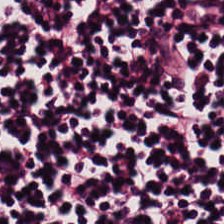H&E-stained tissue section. The tissue here is lymphocyte aggregate.
